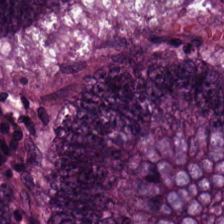FFPE. H&E-stained tissue section — Predominant tissue — colorectal adenocarcinoma epithelium.
